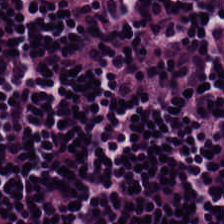Hematoxylin-and-eosin stained section. Predominant tissue — lymphoid infiltrate.
